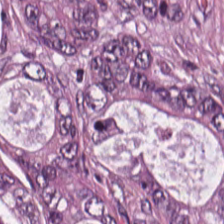Stain: hematoxylin and eosin.
Tissue: adenocarcinoma.
